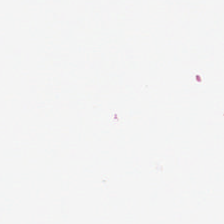224×224 pixel tile. H&E. Formalin-fixed paraffin-embedded section. Field content — empty background.
